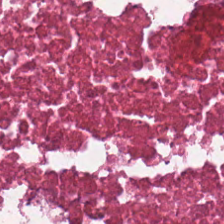Hematoxylin-and-eosin stained section. Q: Classify this patch.
A: This is necrotic debris.
